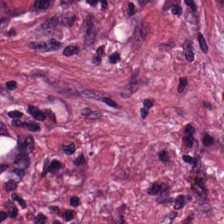Brightfield. FFPE tissue section. H&E-stained tissue section. Predominantly tumor-associated stroma.
